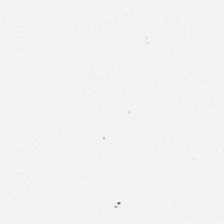H&E · 0.5 µm/px.
Empty field — background (no tissue).
